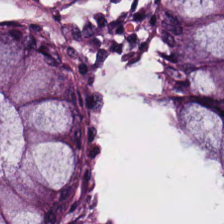Stain: H&E-stained tissue section.
Acquisition: brightfield.
Preparation: formalin-fixed paraffin-embedded section.
Tissue class: benign colonic mucosa.
